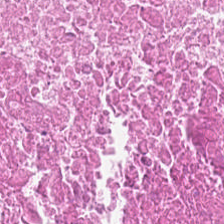FFPE tissue section · H&E-stained tissue section.
Q: What tissue type is shown here?
A: It is cellular debris.
